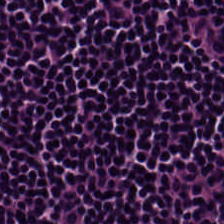Hematoxylin-and-eosin stained section.
The predominant tissue is lymphocyte aggregate.
